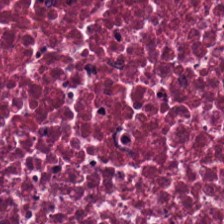Hematoxylin-and-eosin stained section — Necrotic debris.
